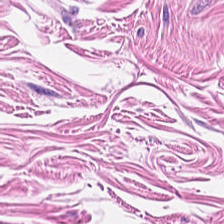The tissue type is muscularis.
